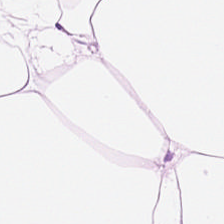Hematoxylin-and-eosin stained section · brightfield · 224×224 pixel tile — {"tissue_type": "adipocytes"}
